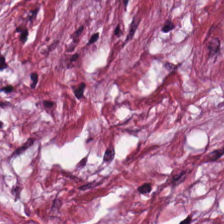Q: What tissue is shown?
A: The field shows cancer-associated stroma.
